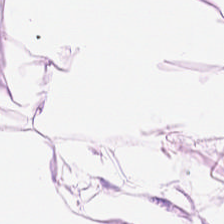Hematoxylin-and-eosin stained section · 0.5 µm per pixel · 224×224 pixel tile. Tissue class: fat tissue.
